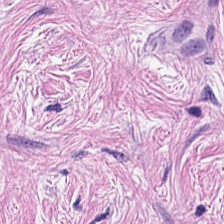H&E-stained tissue section — This field is desmoplastic stroma.
